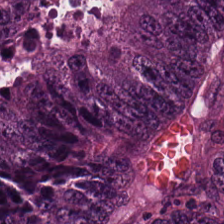H&E-stained tissue section — Predominantly adenocarcinoma.
